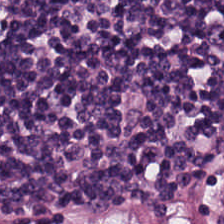Brightfield. 0.5 microns per pixel. Hematoxylin-and-eosin stained section — Predominantly lymphocytes.
